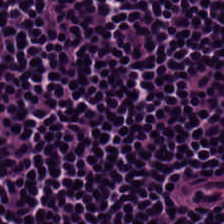Hematoxylin and eosin; brightfield. This field is lymphoid infiltrate.
